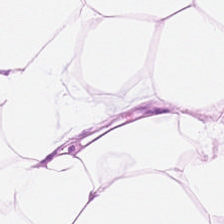H&E.
Fat tissue.
